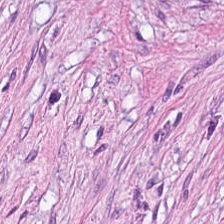{"tissue_type": "tumor stroma"}
